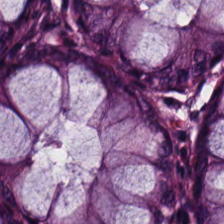Hematoxylin and eosin · 224×224 px tile. Q: What is shown in this field?
A: The field shows normal colon mucosa.
